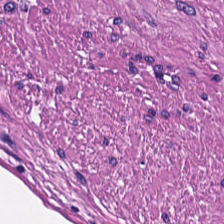Q: What tissue is shown?
A: This is smooth muscle.
